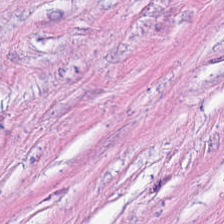Hematoxylin and eosin. Q: What is shown in this field?
A: It is tumor stroma.
